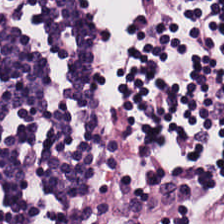Hematoxylin-and-eosin stained section. FFPE tissue section — Lymphocytic infiltrate.
